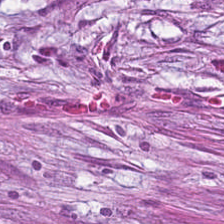Brightfield microscopy · 0.5 µm per pixel · H&E stain.
Q: What tissue is shown?
A: Tumor stroma.
